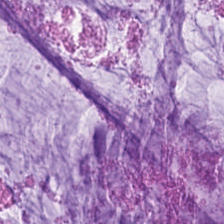H&E patch showing extracellular mucin.
